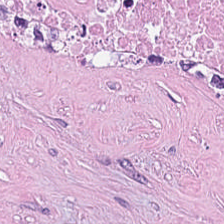Stain: H&E.
Tissue class: necrotic debris.
